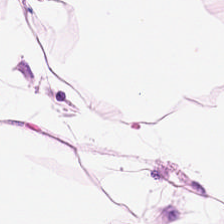FFPE tissue section; H&E; WSI patch.
This field is fat tissue.
